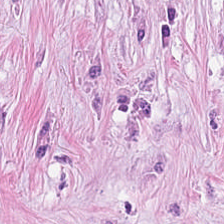H&E — The tissue type is cancer-associated stroma.
